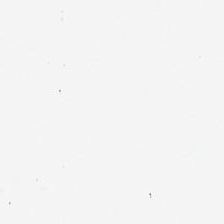This patch shows background.
